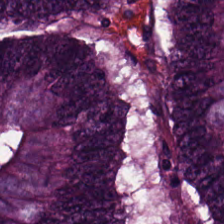H&E. The tissue here is adenocarcinoma.
